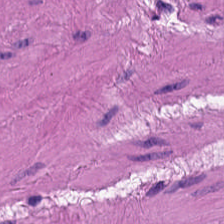H&E stain — Q: What is shown here?
A: It is smooth-muscle tissue.
